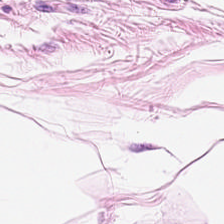H&E-stained tissue section showing adipose.
